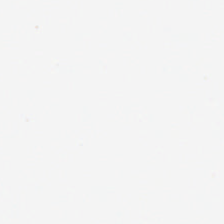No tissue present; background only.
